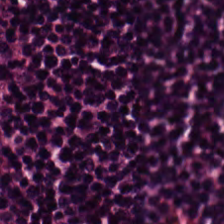Hematoxylin and eosin.
This patch shows lymphocytic infiltrate.
